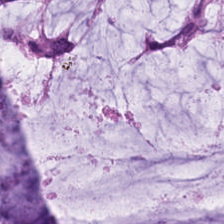{"tissue_type": "extracellular mucin"}
